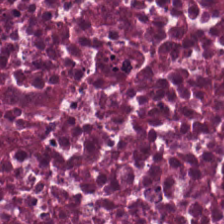Stain: hematoxylin and eosin.
Tissue: cellular debris.
